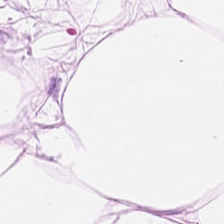H&E.
Predominantly adipocytes.
